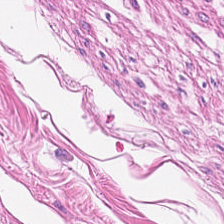H&E — Impression → smooth muscle.
